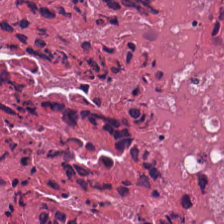Tissue class — cellular debris.
